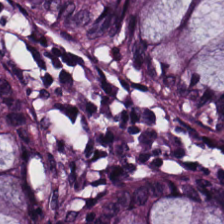H&E-stained section; the field shows benign colonic mucosa.
